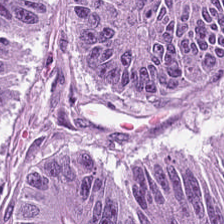H&E-stained tissue section. The tissue type is colorectal adenocarcinoma.
